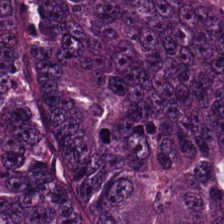Hematoxylin-and-eosin stained section · 20× equivalent magnification. The predominant tissue is colorectal adenocarcinoma.
